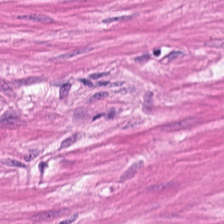Hematoxylin and eosin; 0.5 microns per pixel.
Q: What tissue type is shown here?
A: The field shows smooth muscle.
